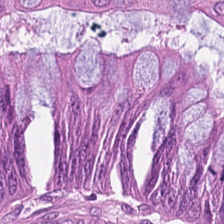Classification — malignant epithelium.
